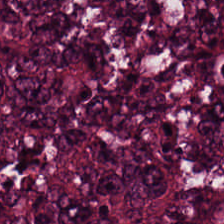H&E-stained tissue section.
Malignant epithelium.
